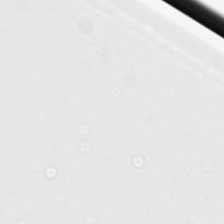Impression → empty background.
